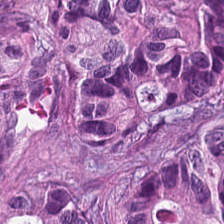20× equivalent magnification. 224×224 pixel tile. Hematoxylin-and-eosin stained section — This field is adenocarcinoma.
